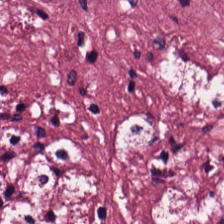FFPE tissue section · brightfield · H&E — The tissue here is cancer-associated stroma.
